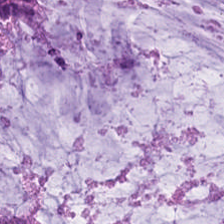H&E · formalin-fixed paraffin-embedded section. Predominantly extracellular mucin.
